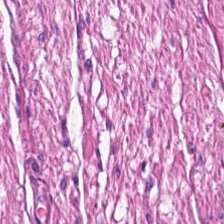Showing muscularis.
